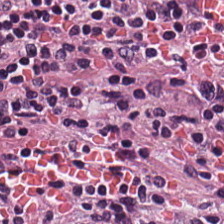Hematoxylin and eosin.
{"tissue_type": "lymphocyte aggregate"}
